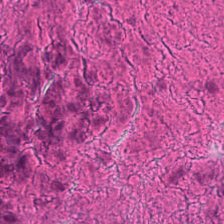H&E. The predominant tissue is cellular debris.
